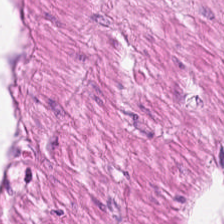Hematoxylin-and-eosin stained section. The tissue here is smooth muscle.
